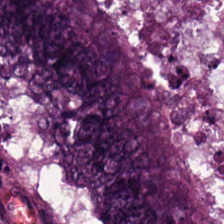H&E stain. This field is malignant epithelium.
